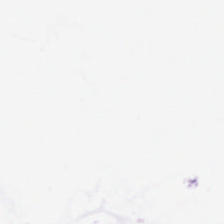H&E.
Q: What does this patch show?
A: It is no tissue.
